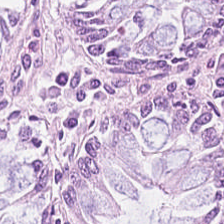224×224 px patch. 0.5 microns per pixel. H&E-stained tissue section.
Q: Identify the tissue.
A: The field shows non-neoplastic colon mucosa.
